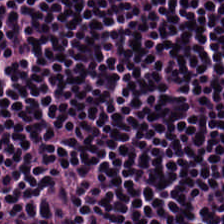H&E-stained tissue section. 0.5 µm per pixel. This patch shows lymphocytic infiltrate.
